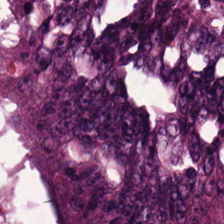Whole-slide-image patch. H&E-stained tissue section. FFPE. Impression — malignant epithelium.
